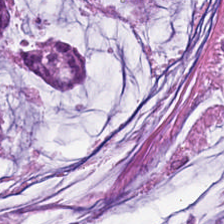H&E. The predominant tissue is extracellular mucin.
